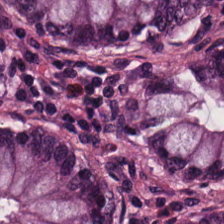Hematoxylin-and-eosin stained section.
Showing normal colon mucosa.
